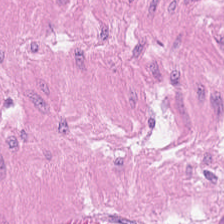H&E. Q: What is shown here?
A: The field shows muscularis.
